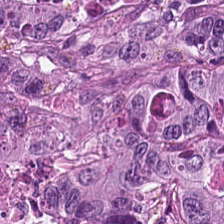Stain: H&E-stained tissue section.
Classification: colorectal adenocarcinoma.
